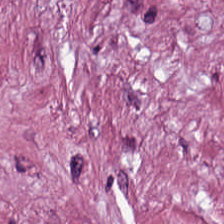Stain: H&E.
Predominant tissue: tumor stroma.
